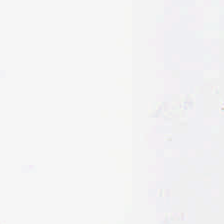Hematoxylin and eosin. Q: Classify this patch.
A: This is empty background.
